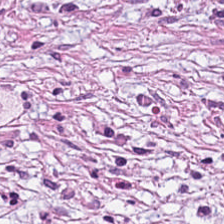Formalin-fixed paraffin-embedded section. Hematoxylin-and-eosin stained section. 20× equivalent magnification — Q: What is shown in this field?
A: The field shows desmoplastic stroma.
